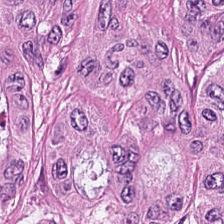Hematoxylin-and-eosin stained section. This field is colorectal adenocarcinoma epithelium.
